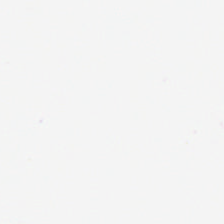Q: What is shown here?
A: No tissue.
